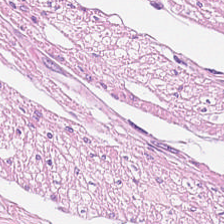Tissue type = smooth muscle.
